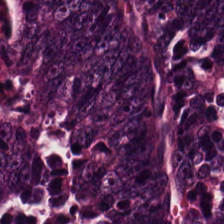FFPE. H&E stain. Brightfield microscopy. Colorectal adenocarcinoma epithelium.
